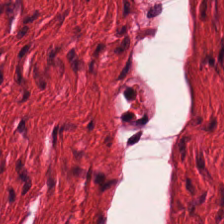Stain: H&E.
Resolution: 0.5 µm per pixel.
Acquisition: WSI patch.
Classification: smooth muscle.
